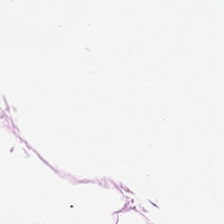Hematoxylin-and-eosin stained section.
Impression → fat tissue.
